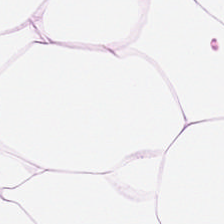Hematoxylin-and-eosin stained section — Q: What does this patch show?
A: It is adipose.
